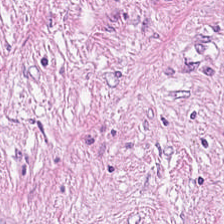H&E-stained tissue section.
Impression → tumor stroma.
